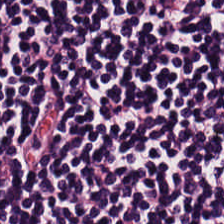H&E-stained tissue section. Finding — lymphocytic infiltrate.
